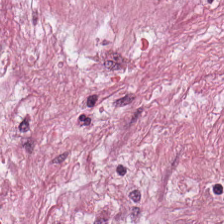FFPE; 20× equivalent magnification; H&E.
Tissue type — cancer-associated stroma.
